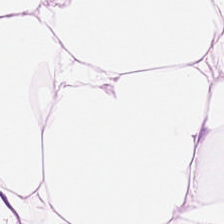Hematoxylin-and-eosin stained section — Adipose.
